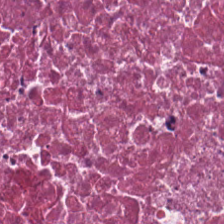Predominantly cellular debris.
